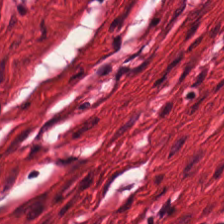224×224 px tile; whole-slide-image patch; hematoxylin-and-eosin stained section.
Showing smooth-muscle tissue.
